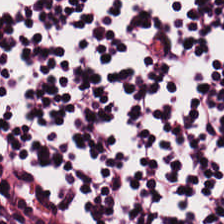This field is lymphoid infiltrate.
